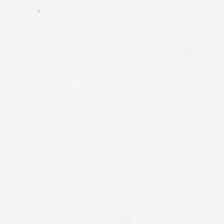Stain: H&E.
Classification: background.
